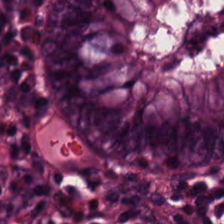Hematoxylin and eosin.
The predominant tissue is non-neoplastic colon mucosa.
